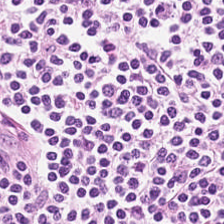Hematoxylin and eosin — Showing lymphocytic infiltrate.
